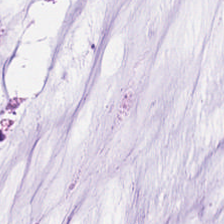{"tissue_type": "mucus"}
